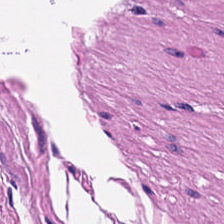Hematoxylin and eosin — Impression — muscularis.
